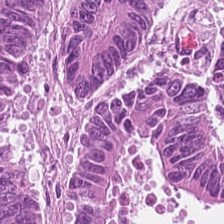224×224 px tile. WSI patch. Hematoxylin and eosin — Q: What tissue type is shown here?
A: Adenocarcinoma.
